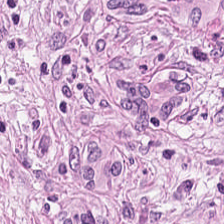Stain: H&E-stained tissue section.
Acquisition: whole-slide-image patch.
Tissue type: desmoplastic stroma.
